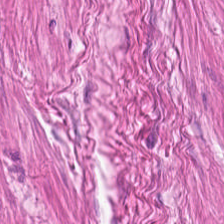The tissue is smooth-muscle tissue.
